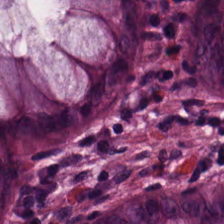FFPE. 224×224 px patch. Hematoxylin-and-eosin stained section. This field is benign colonic mucosa.
